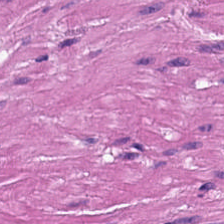Hematoxylin and eosin. Formalin-fixed paraffin-embedded section — This field is muscularis.
